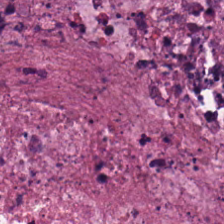FFPE. Hematoxylin-and-eosin stained section — Q: Classify this patch.
A: It is debris.
